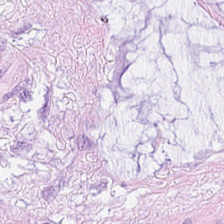Hematoxylin and eosin · 0.5 µm per pixel · whole-slide-image patch — Mucus.
